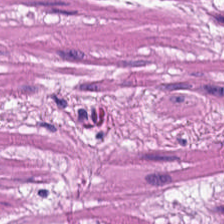Hematoxylin-and-eosin stained section — Tissue class: smooth muscle.
